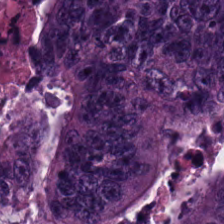WSI patch; hematoxylin-and-eosin stained section.
Tissue — colorectal adenocarcinoma.
